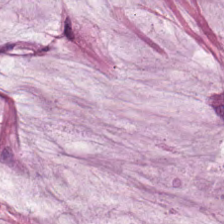H&E-stained tissue section.
This field is mucus.
